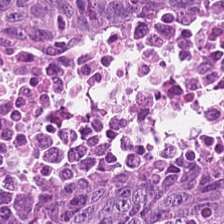Hematoxylin and eosin. Q: What is shown here?
A: The field shows adenocarcinoma.
